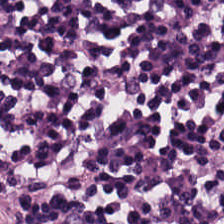Hematoxylin and eosin.
Impression → lymphocytes.
